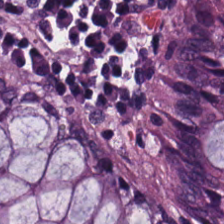Formalin-fixed paraffin-embedded section. H&E stain — Predominantly normal colonic mucosa.
